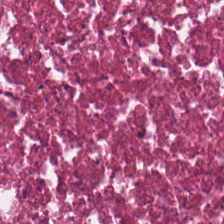Q: What tissue type is shown here?
A: This is cellular debris.
